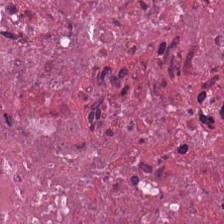H&E stain · 0.5 microns per pixel — Impression — necrotic debris.
